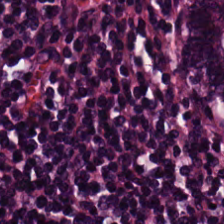Stain: H&E.
Tissue class: lymphoid infiltrate.
